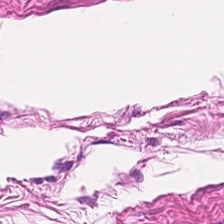H&E stain.
This field is smooth-muscle tissue.
